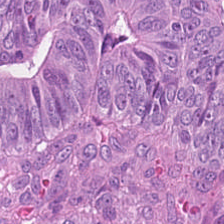H&E stain — Adenocarcinoma.
